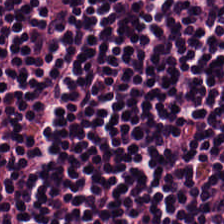Hematoxylin and eosin; brightfield — The predominant tissue is lymphocytic infiltrate.
